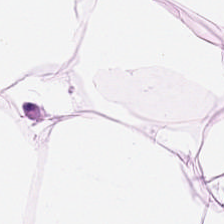0.5 µm/px; H&E. This field is adipose tissue.
